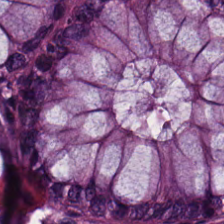Hematoxylin-and-eosin stained section — Predominantly benign colonic mucosa.
